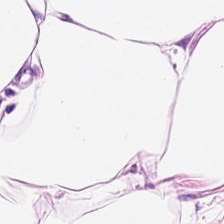Stain: H&E stain.
Classification: fat tissue.
